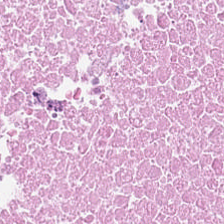Stain: hematoxylin and eosin.
Tile size: 224×224 px tile.
Preparation: FFPE.
Predominant tissue: debris.
